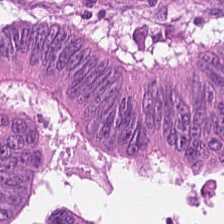H&E stain.
Tissue class — adenocarcinoma.
